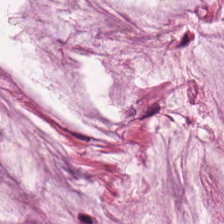Hematoxylin-and-eosin stained section. 20× equivalent magnification. FFPE.
Predominantly extracellular mucin.
